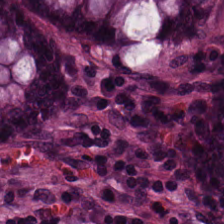Stain: hematoxylin and eosin.
Predominant tissue: normal colon mucosa.
